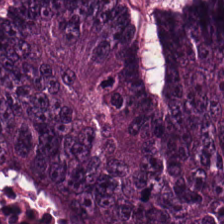The predominant tissue is malignant epithelium.
